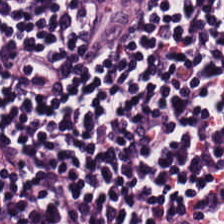Stain: H&E.
Preparation: FFPE.
Tissue: lymphocytes.
